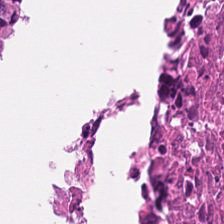224×224 px tile. 0.5 microns per pixel. H&E-stained tissue section — The predominant tissue is necrotic debris.
